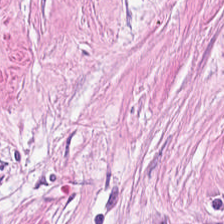Brightfield · H&E-stained tissue section.
The tissue class is tumor stroma.
